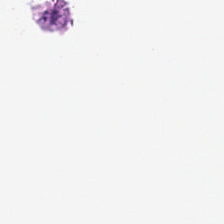FFPE; brightfield; hematoxylin-and-eosin stained section — Field content — empty background.
